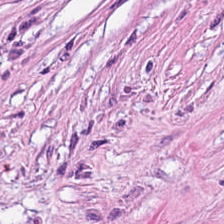H&E. The tissue class is tumor-associated stroma.
